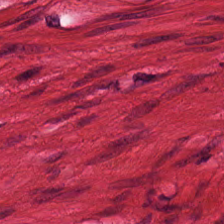Hematoxylin-and-eosin stained section. Q: What does this patch show?
A: The field shows smooth muscle.
